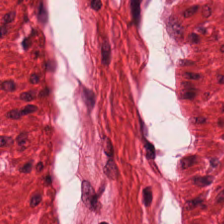Stain: H&E.
Tissue: smooth muscle.
